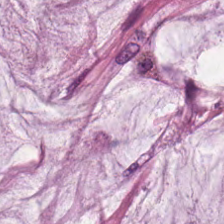H&E-stained tissue section.
The predominant tissue is extracellular mucin.
